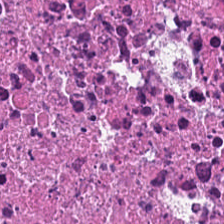H&E · brightfield microscopy · 20× equivalent magnification.
The tissue here is cellular debris.
